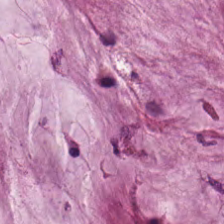H&E — Mucus.
